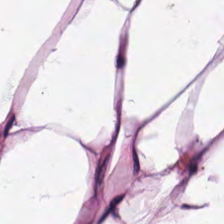Predominantly fat tissue.
